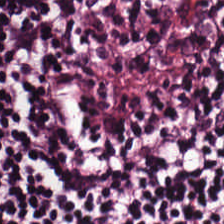Stain: H&E-stained tissue section.
Tile size: 224×224 px patch.
Tissue: lymphocyte aggregate.
